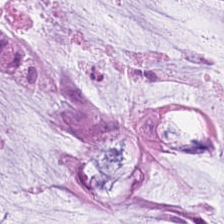H&E.
Tissue class — mucus.
